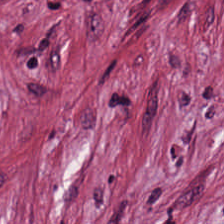H&E-stained section; the field shows desmoplastic stroma.
